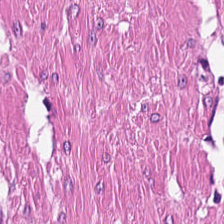Hematoxylin-and-eosin stained section · formalin-fixed paraffin-embedded section — Predominantly smooth muscle.
